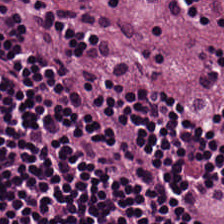H&E. Histology — lymphocytes.
